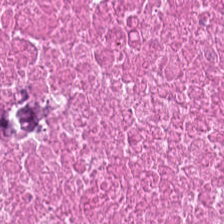224×224 px tile. H&E-stained tissue section.
Q: What tissue type is shown here?
A: It is necrotic debris.
